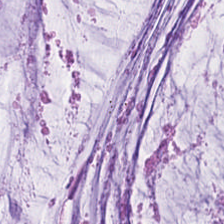Impression — mucus.
